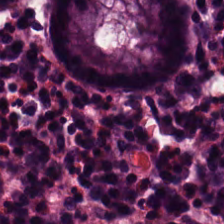Hematoxylin and eosin.
Predominant tissue — non-neoplastic colon mucosa.
